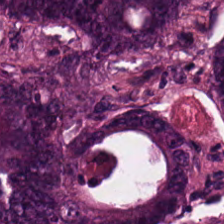Histology → tumor epithelium.
